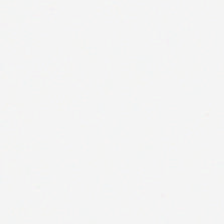Hematoxylin and eosin. 0.5 microns per pixel. Brightfield — Impression → empty background.
